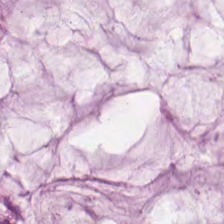Hematoxylin-and-eosin stained section. {"tissue_type": "extracellular mucin"}
